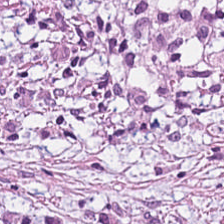H&E stain · 224×224 px tile — Impression — desmoplastic stroma.
